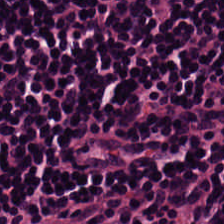Stain: hematoxylin and eosin.
Tile size: 224×224 pixel tile.
Tissue: lymphoid infiltrate.
